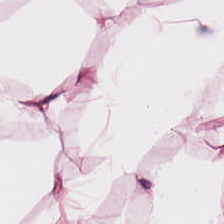H&E stain; 0.5 microns per pixel; 224×224 px tile — Tissue: adipose.
